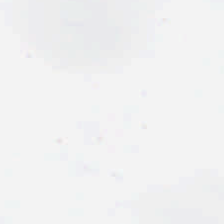Stain: H&E-stained tissue section.
Resolution: 0.5 µm per pixel.
Classification: background.
